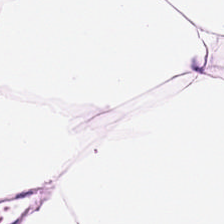This field is fat tissue.
